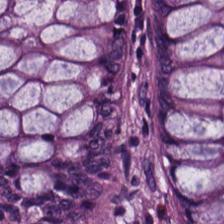Stain: H&E-stained tissue section.
Tile size: 224×224 pixel tile.
Tissue type: non-neoplastic colon mucosa.
